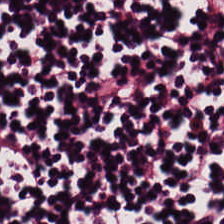Hematoxylin and eosin. 224×224 px tile — Tissue type: lymphocytic infiltrate.
